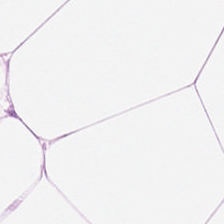Stain: hematoxylin and eosin.
Preparation: FFPE tissue section.
Resolution: 20× equivalent magnification.
Tissue: adipose.
